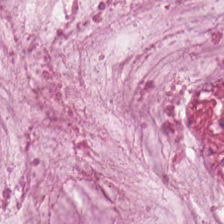Hematoxylin and eosin; 224×224 px tile. Showing mucin.
